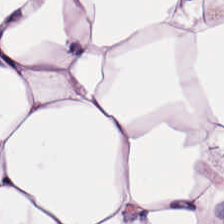224×224 px tile; hematoxylin and eosin.
Classification = fat tissue.
